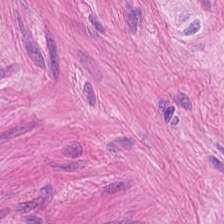H&E. 224×224 pixel tile. Q: What is shown in this field?
A: The field shows smooth muscle.
